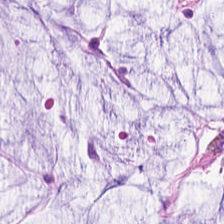20× equivalent magnification. 224×224 pixel tile. Hematoxylin-and-eosin stained section — The predominant tissue is extracellular mucin.
